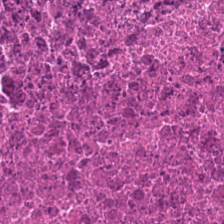Hematoxylin and eosin.
The classification is debris.
